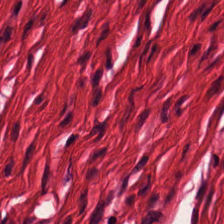Hematoxylin-and-eosin stained section — Showing muscularis.
